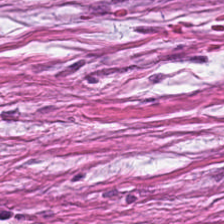Hematoxylin and eosin · 0.5 µm/px. This patch shows tumor-associated stroma.
